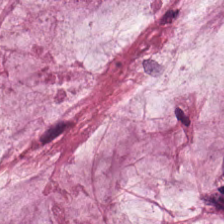H&E-stained tissue section.
Tissue class — mucus.
